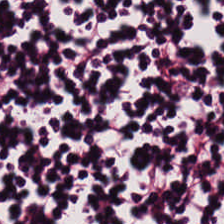Hematoxylin and eosin. The predominant tissue is lymphocytic infiltrate.
